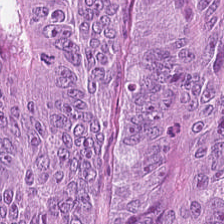Hematoxylin-and-eosin stained section. Showing tumor epithelium.
